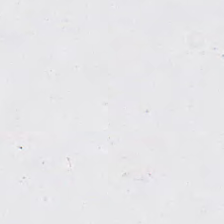Content = background (no tissue).
